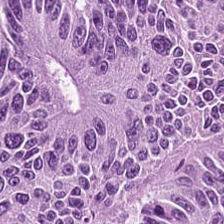Stain: H&E stain.
Resolution: 0.5 microns per pixel.
Tissue class: tumor epithelium.
